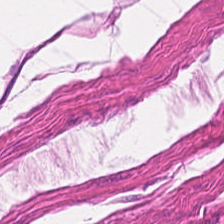Q: What is the predominant tissue type?
A: It is muscularis.
